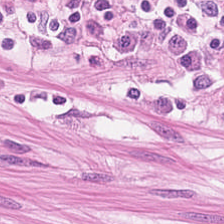H&E. 20× equivalent magnification — Q: Identify the tissue.
A: Smooth muscle.
